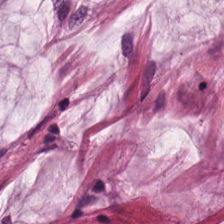Brightfield microscopy; H&E stain — Impression — mucin.
